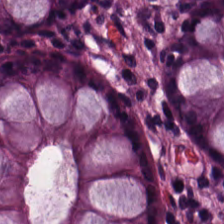H&E patch showing normal colonic mucosa.
